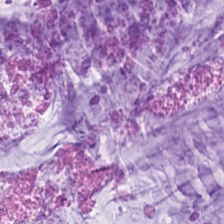H&E-stained tissue section.
This field is extracellular mucin.
